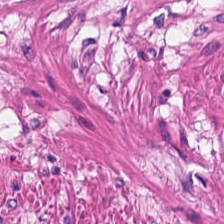Tissue class — smooth-muscle tissue.
